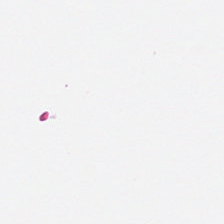Formalin-fixed paraffin-embedded section. Hematoxylin and eosin. 224×224 px patch. This patch shows background.
